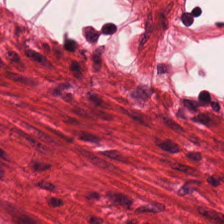Tissue class = smooth muscle.
